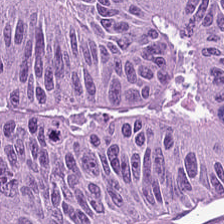This patch shows tumor epithelium.
